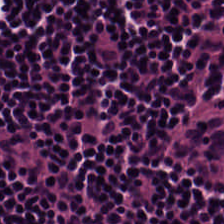Stain: H&E stain.
Predominant tissue: lymphocytic infiltrate.
